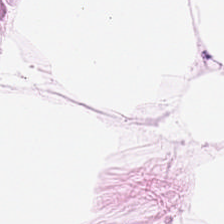Brightfield. H&E-stained tissue section.
Finding → fat tissue.
